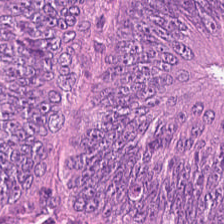H&E-stained tissue section. Histology → colorectal adenocarcinoma epithelium.
